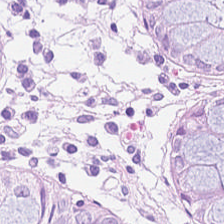Stain: hematoxylin-and-eosin stained section.
Tile size: 224×224 px patch.
Tissue: non-neoplastic colon mucosa.
